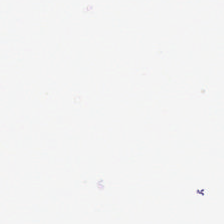Stain: H&E.
Content: no tissue.
